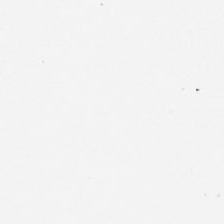H&E stain. Q: What is shown in this field?
A: Empty background.
